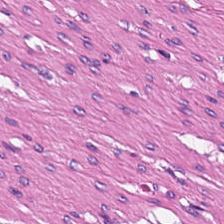FFPE. H&E — Classification: muscularis.
